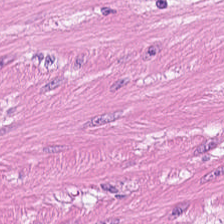Formalin-fixed paraffin-embedded section; 0.5 microns per pixel; hematoxylin-and-eosin stained section. Classification — smooth-muscle tissue.
